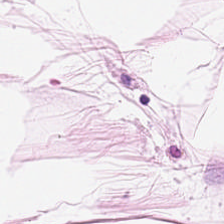224×224 pixel tile. Hematoxylin-and-eosin stained section. 0.5 microns per pixel. Showing adipose tissue.
